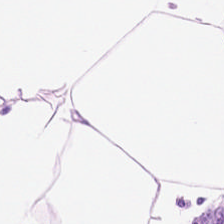Tissue type = adipocytes.
